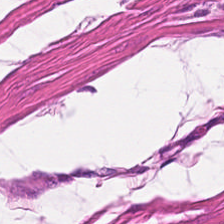Stain: H&E stain.
Resolution: 0.5 µm/px.
Acquisition: whole-slide-image patch.
Predominant tissue: smooth-muscle tissue.
